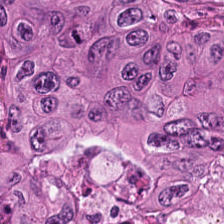H&E stain.
The tissue here is colorectal adenocarcinoma.
